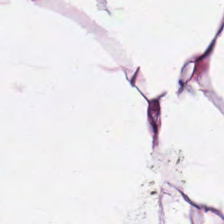Q: Classify this patch.
A: Adipose.
